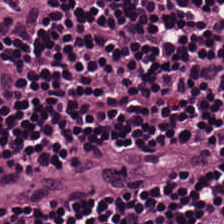H&E stain; 20× equivalent magnification. Q: What tissue type is shown here?
A: This is lymphoid infiltrate.
